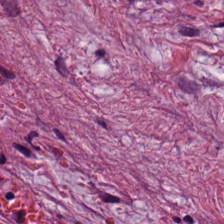H&E; brightfield microscopy. Q: What tissue is shown?
A: It is tumor-associated stroma.
